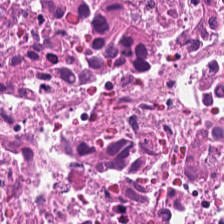Hematoxylin-and-eosin stained section. FFPE.
Tissue class: cellular debris.
